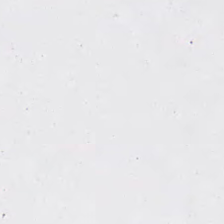H&E. {"content": "background (no tissue)"}
